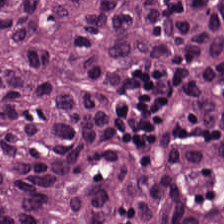Q: What type of tissue is this?
A: Malignant epithelium.
